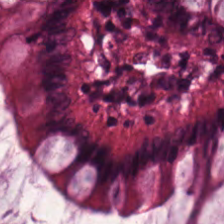This field is normal colonic mucosa.
